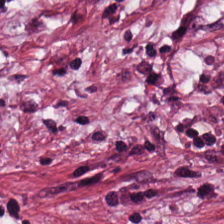{"tissue_type": "desmoplastic stroma"}
